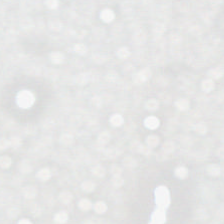Stain: H&E stain.
Resolution: 0.5 µm/px.
Field content: no tissue.
